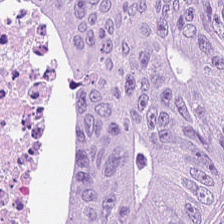Hematoxylin and eosin. This patch shows colorectal adenocarcinoma.
